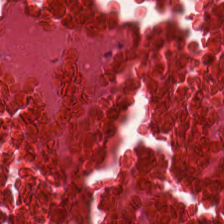FFPE tissue section; H&E-stained tissue section — Tissue class = necrotic debris.
